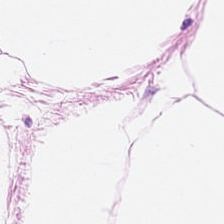H&E-stained tissue section. Q: What is shown in this field?
A: This is adipose.
